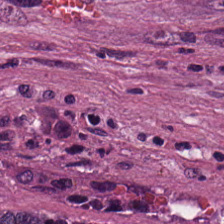{"tissue_type": "tumor stroma"}
